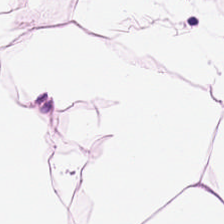H&E-stained tissue section.
Predominantly fat tissue.
